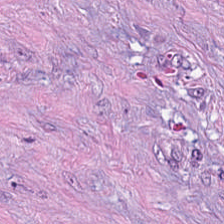WSI patch; hematoxylin and eosin.
The predominant tissue is tumor-associated stroma.
